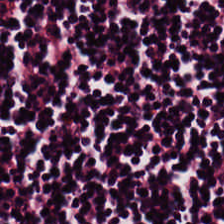Stain: H&E-stained tissue section.
Tile size: 224×224 pixel tile.
Resolution: 20× equivalent magnification.
Tissue: lymphocytes.
